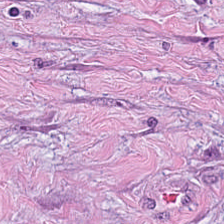H&E stain. Predominantly tumor-associated stroma.
